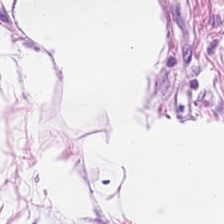Stain: H&E.
Tissue class: adipose.
